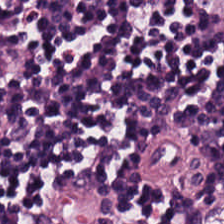Hematoxylin-and-eosin stained section.
The tissue here is lymphocytic infiltrate.
